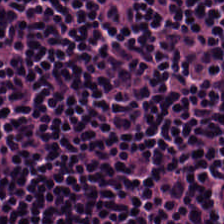H&E-stained tissue section showing lymphocytic infiltrate.
